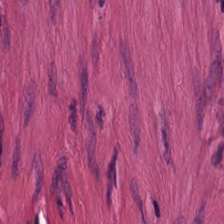Stain: hematoxylin and eosin.
Tissue: muscularis.
